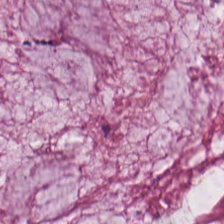20× equivalent magnification; hematoxylin and eosin.
This patch shows extracellular mucin.
